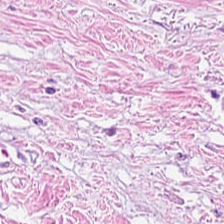FFPE. H&E. 0.5 µm/px — This patch shows tumor-associated stroma.
